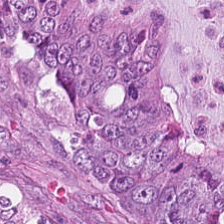The predominant tissue is colorectal adenocarcinoma.
